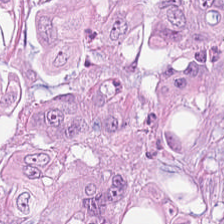224×224 px tile. H&E stain. Predominant tissue: adenocarcinoma.
